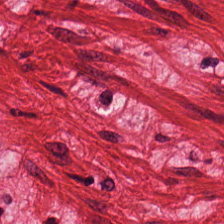Stain: H&E.
Tissue: smooth muscle.
